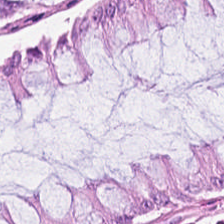Q: What type of tissue is this?
A: The field shows normal colon mucosa.
